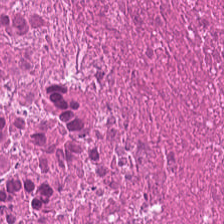Tissue type: necrotic debris.
